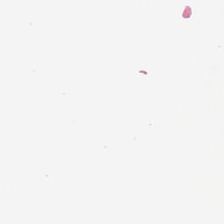Hematoxylin and eosin — The classification is background.
